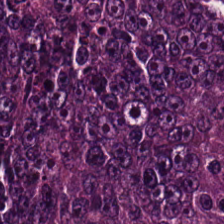H&E-stained tissue section — The tissue type is malignant epithelium.
